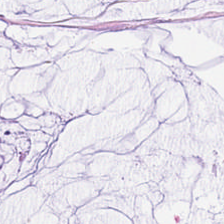Hematoxylin-and-eosin stained section — The predominant tissue is mucus.
